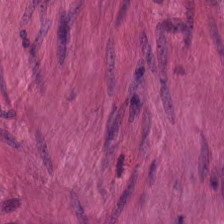H&E-stained tissue section; 224×224 px patch.
Classification: muscularis.
